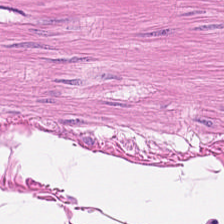WSI patch. 224×224 pixel tile. Hematoxylin-and-eosin stained section.
Predominantly smooth muscle.
